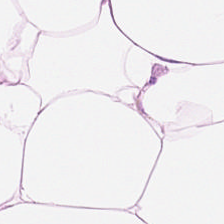Hematoxylin-and-eosin section: fat tissue.
